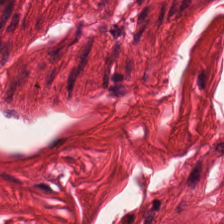H&E stain — This field is smooth muscle.
